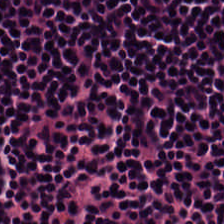H&E stain — Predominant tissue — lymphoid infiltrate.
